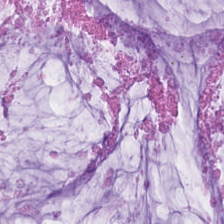H&E stain · 224×224 pixel tile — Tissue: mucin.
